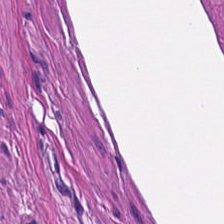FFPE tissue section; hematoxylin and eosin; 224×224 pixel tile.
Tissue = smooth-muscle tissue.
